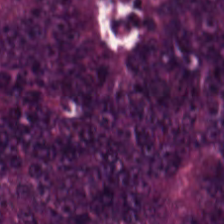H&E.
The tissue type is malignant epithelium.
